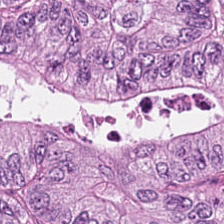224×224 pixel tile · formalin-fixed paraffin-embedded section · H&E stain.
Q: What is shown in this field?
A: This is malignant epithelium.
